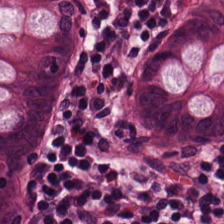Predominant tissue — normal colon mucosa.
